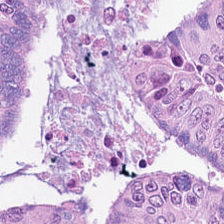H&E; 224×224 px tile.
{"tissue_type": "tumor epithelium"}
